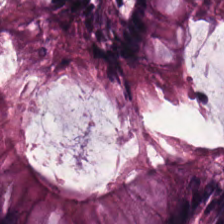H&E stain.
The tissue here is non-neoplastic colon mucosa.
